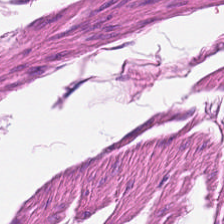Hematoxylin-and-eosin stained section. Smooth-muscle tissue.
